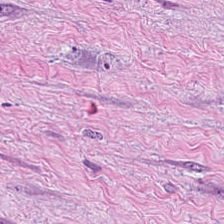H&E. 224×224 px tile — The predominant tissue is tumor-associated stroma.
